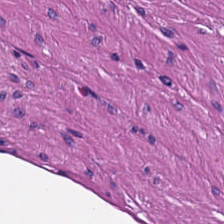H&E — Finding → muscularis.
